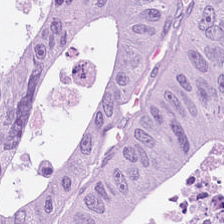The tissue type is tumor epithelium.
